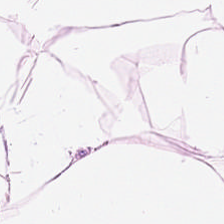H&E-stained section; the field shows fat tissue.
